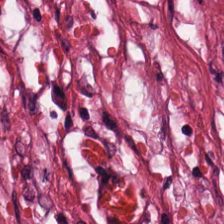Hematoxylin-and-eosin stained section.
Histology → desmoplastic stroma.
